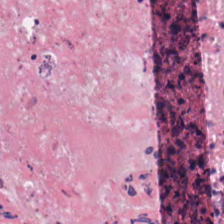Hematoxylin and eosin. 0.5 µm/px — Tissue — cellular debris.
